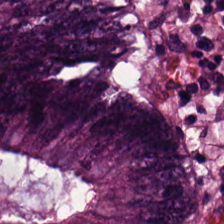Hematoxylin and eosin; 0.5 µm per pixel.
This patch shows colorectal adenocarcinoma epithelium.
